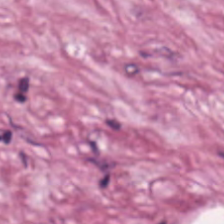Predominant tissue: tumor-associated stroma.
